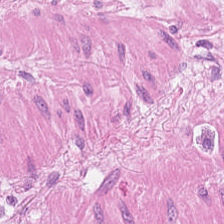H&E-stained tissue section. Predominantly muscularis.
